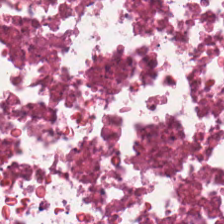H&E.
This patch shows cellular debris.
